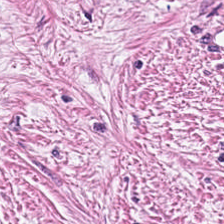Hematoxylin and eosin. 0.5 µm per pixel.
Predominant tissue: tumor stroma.
